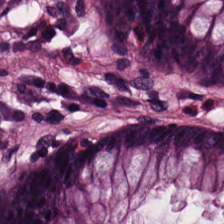Hematoxylin and eosin — Benign colonic mucosa.
